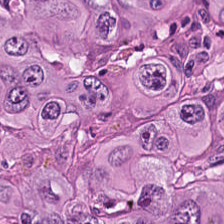0.5 microns per pixel; H&E stain; whole-slide-image patch — Tissue type: tumor epithelium.
